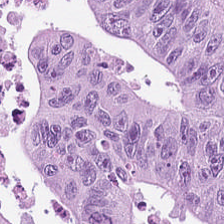224×224 px tile; hematoxylin and eosin — Impression → tumor epithelium.
